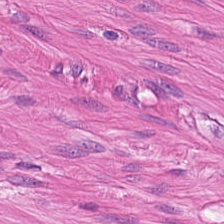Brightfield; H&E-stained tissue section.
Predominantly smooth-muscle tissue.
